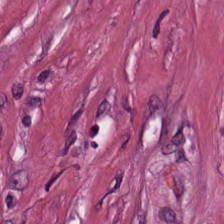{"tissue_type": "tumor stroma"}
